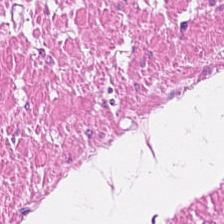Brightfield microscopy. 0.5 µm/px. Hematoxylin and eosin. Q: What is shown in this field?
A: The field shows smooth-muscle tissue.
